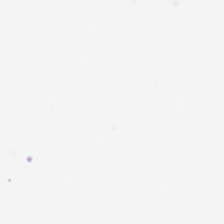Hematoxylin-and-eosin stained section. 0.5 µm/px. The field content is no tissue.
